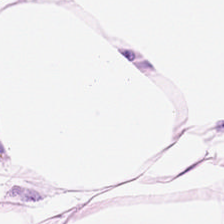Hematoxylin-and-eosin stained section — Predominantly adipocytes.
